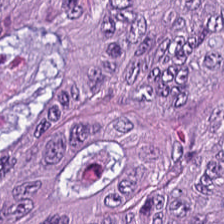Hematoxylin and eosin — Adenocarcinoma.
